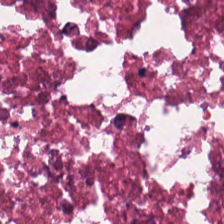H&E — Tissue type — cellular debris.
